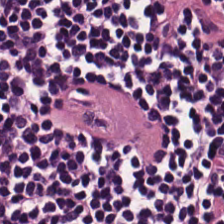Hematoxylin and eosin.
This patch shows lymphocytes.
